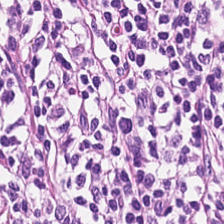H&E.
Q: What tissue is shown?
A: The field shows lymphocytic infiltrate.
